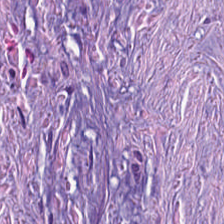Brightfield microscopy; H&E-stained tissue section.
This field is tumor-associated stroma.
